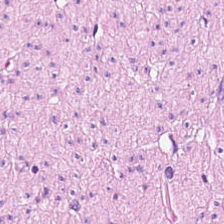Q: What is the predominant tissue type?
A: It is smooth muscle.
